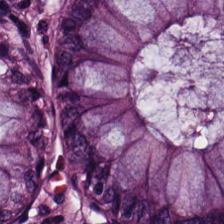This patch shows normal colon mucosa.
